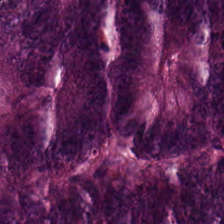Q: What type of tissue is this?
A: This is malignant epithelium.
